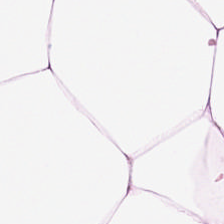Tissue = adipose tissue.
